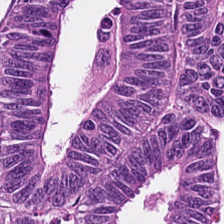H&E.
Tissue type — tumor epithelium.
